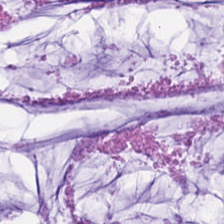H&E-stained tissue section — Tissue = mucin.
